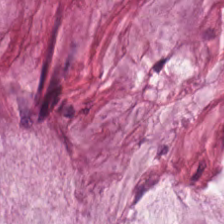H&E stain — Q: What is shown here?
A: It is mucus.
